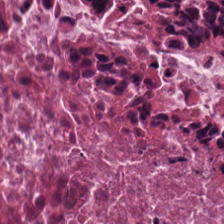H&E-stained tissue section. Tissue: debris.
